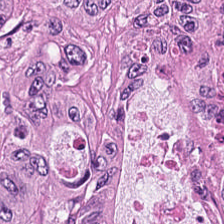FFPE. H&E. 0.5 µm per pixel — Tumor epithelium.
